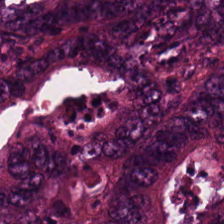H&E — Histology → tumor epithelium.
